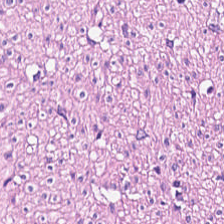Hematoxylin and eosin — Tissue type = smooth muscle.
